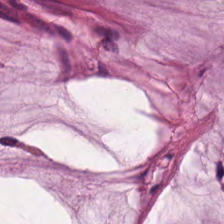H&E-stained tissue section. The tissue class is extracellular mucin.
